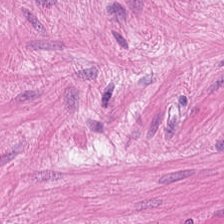H&E stain — This field is smooth-muscle tissue.
